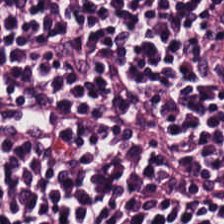Q: What type of tissue is this?
A: This is lymphoid infiltrate.
